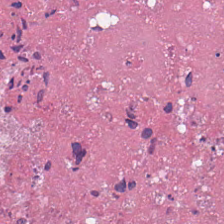H&E stain. Classification: necrotic debris.
